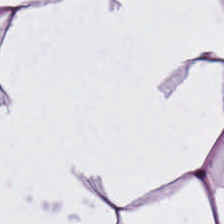224×224 px tile. Formalin-fixed paraffin-embedded section. Hematoxylin-and-eosin stained section. Tissue = fat tissue.
